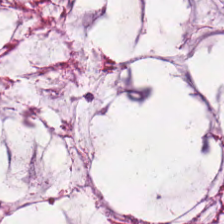FFPE; H&E stain; whole-slide-image patch. Tissue class = mucin.
